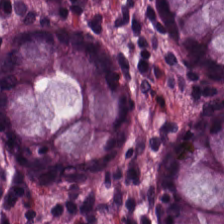Predominantly normal colonic mucosa.
